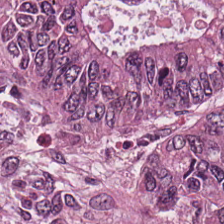WSI patch · H&E stain. The tissue here is adenocarcinoma.
